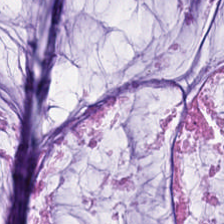H&E — Q: Identify the tissue.
A: The field shows mucus.
